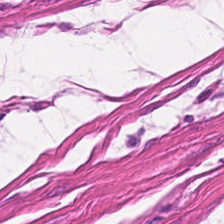FFPE. 224×224 pixel tile. Hematoxylin-and-eosin stained section — Muscularis.
